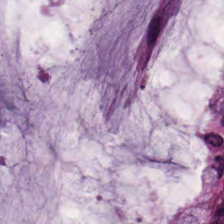H&E stain.
This field is mucin.
